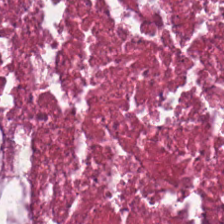Stain: H&E stain.
Resolution: 0.5 µm per pixel.
Preparation: FFPE.
Tissue: necrotic debris.
